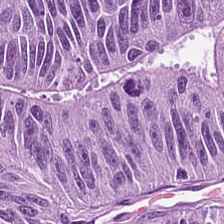224×224 px tile; H&E stain. {"tissue_type": "tumor epithelium"}
